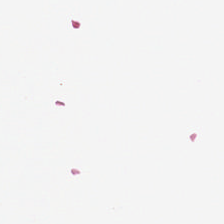This patch shows background (no tissue).
